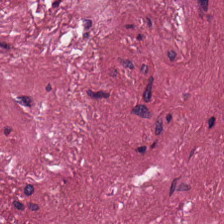Classification = desmoplastic stroma.
